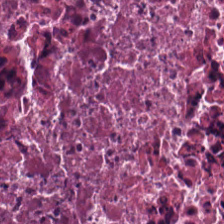Hematoxylin-and-eosin stained section. Brightfield microscopy. Formalin-fixed paraffin-embedded section.
Finding → debris.
